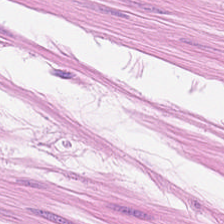Hematoxylin-and-eosin stained section. Predominant tissue = smooth-muscle tissue.
